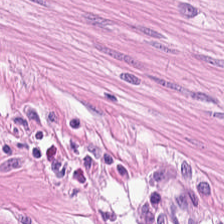H&E — The predominant tissue is smooth muscle.
